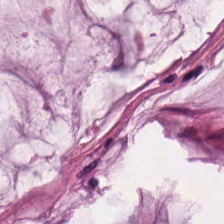Hematoxylin-and-eosin stained section — This field is mucin.
